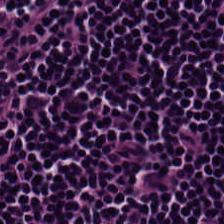Hematoxylin-and-eosin stained section. The predominant tissue is lymphocytic infiltrate.
